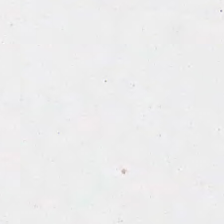H&E stain. No tissue present; background only.
